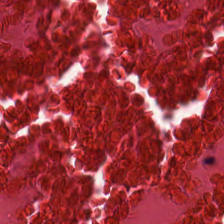H&E-stained tissue section; whole-slide-image patch — Predominantly cellular debris.
